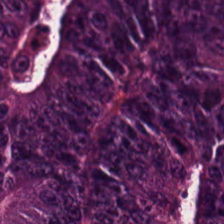0.5 µm/px; H&E stain — Q: What is the predominant tissue type?
A: This is colorectal adenocarcinoma.
